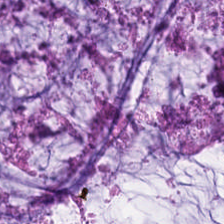H&E-stained tissue section — Q: What tissue is shown?
A: This is mucus.
